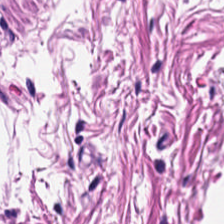H&E — Q: What is shown in this field?
A: The field shows smooth muscle.
